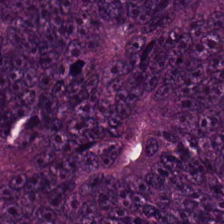0.5 µm per pixel; hematoxylin-and-eosin stained section — Classification — tumor epithelium.
